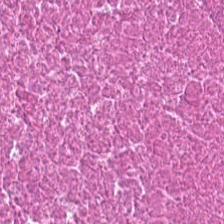FFPE · H&E-stained tissue section. Q: What is shown in this field?
A: This is necrotic debris.
